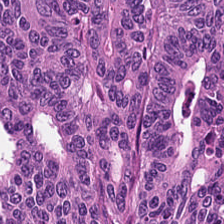H&E-stained tissue section.
Tissue = colorectal adenocarcinoma.
